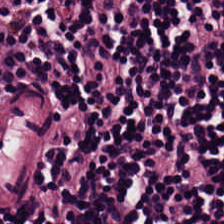Q: What tissue is shown?
A: The field shows lymphocytic infiltrate.
